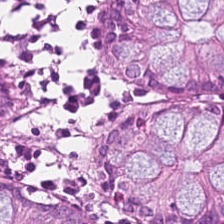20× equivalent magnification · formalin-fixed paraffin-embedded section · hematoxylin and eosin — {"tissue_type": "normal colonic mucosa"}
